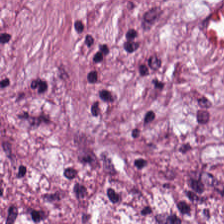Hematoxylin and eosin. Formalin-fixed paraffin-embedded section — The predominant tissue is desmoplastic stroma.
